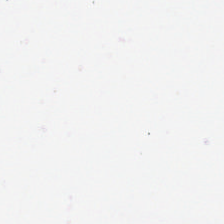{"content": "background"}
